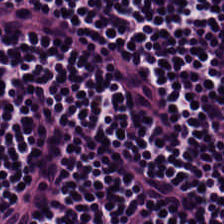0.5 µm/px; H&E-stained tissue section — Lymphocyte aggregate.
